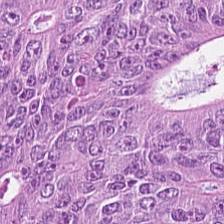FFPE tissue section. H&E.
Impression → tumor epithelium.
